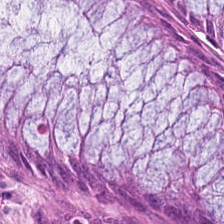H&E stain; 0.5 µm per pixel; WSI patch — The tissue type is benign colonic mucosa.
